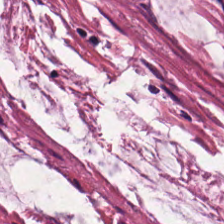Hematoxylin and eosin. Predominantly extracellular mucin.
